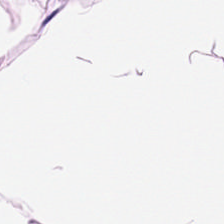H&E — adipose tissue.
